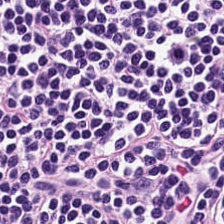Hematoxylin and eosin. Predominant tissue = lymphocytes.
